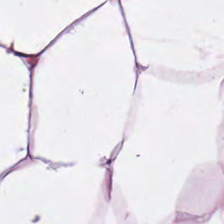H&E stain. Q: What is shown here?
A: The field shows fat tissue.
